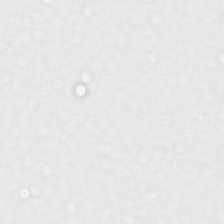224×224 pixel tile. H&E stain. Background — no tissue in this field.
